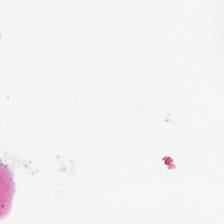H&E — Q: What is shown in this field?
A: It is background (no tissue).
